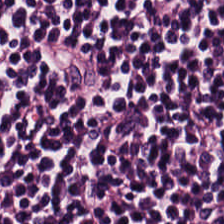Stain: hematoxylin-and-eosin stained section.
Tile size: 224×224 pixel tile.
Tissue type: lymphocytes.
